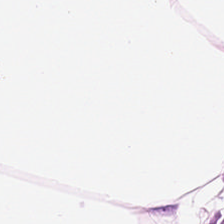Hematoxylin and eosin · 0.5 microns per pixel.
Q: What does this patch show?
A: Adipocytes.
